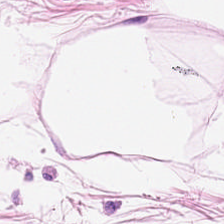Stain: hematoxylin and eosin.
Tissue class: adipose tissue.
